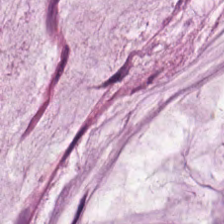H&E.
Extracellular mucin.
